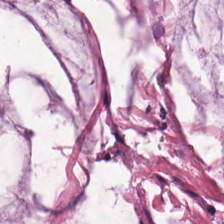Tissue type: extracellular mucin.
